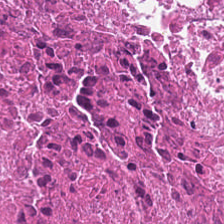H&E — Q: What is shown in this field?
A: Debris.
